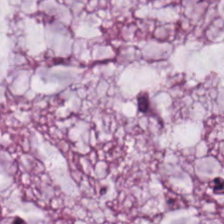Hematoxylin and eosin.
Histology — extracellular mucin.
